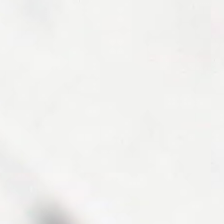H&E stain · 224×224 pixel tile. Empty field — empty background.
